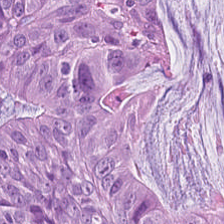Showing colorectal adenocarcinoma epithelium.
